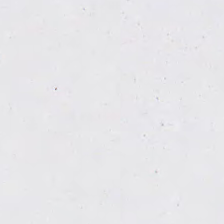H&E stain. No tissue present; background only.
